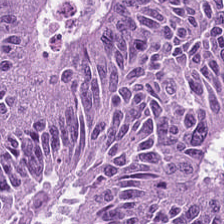H&E stain.
Predominantly adenocarcinoma.
